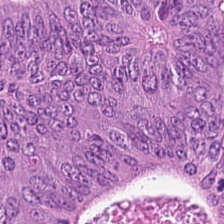H&E stain.
Impression → colorectal adenocarcinoma.
